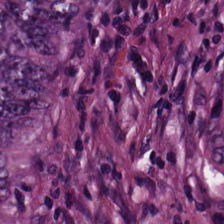Formalin-fixed paraffin-embedded section; H&E-stained tissue section; 224×224 px tile. Q: What tissue type is shown here?
A: It is colorectal adenocarcinoma epithelium.
